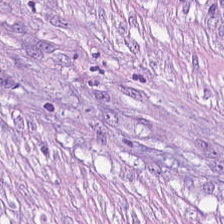Hematoxylin and eosin.
Histology — desmoplastic stroma.
